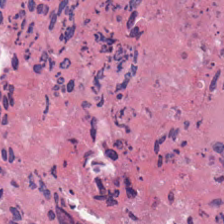H&E — Tissue class: debris.
